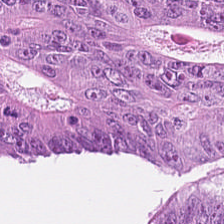Stain: H&E stain.
Preparation: FFPE.
Classification: colorectal adenocarcinoma.
